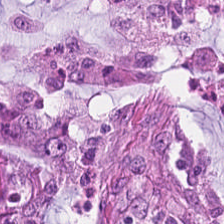Hematoxylin and eosin. 224×224 px tile — The tissue here is colorectal adenocarcinoma epithelium.
